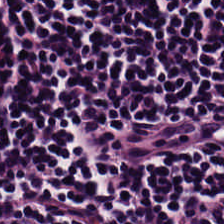H&E-stained tissue section.
Tissue type — lymphocytic infiltrate.
